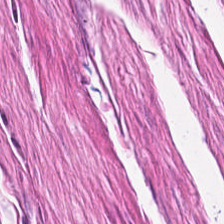224×224 px patch · H&E · 0.5 µm per pixel — This patch shows smooth muscle.
